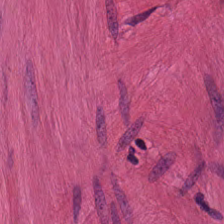Whole-slide-image patch; hematoxylin-and-eosin stained section — The predominant tissue is smooth muscle.
